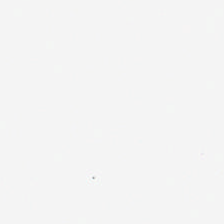Q: What does this patch show?
A: Empty background.
